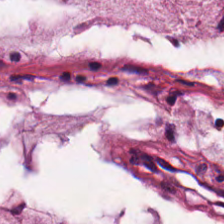Formalin-fixed paraffin-embedded section; H&E stain; whole-slide-image patch. Finding — mucin.
